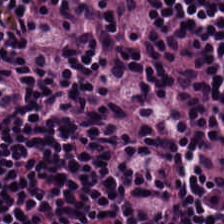H&E-stained tissue section — The tissue here is lymphocyte aggregate.
